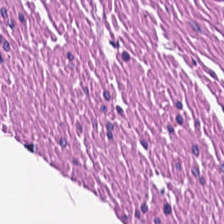Hematoxylin and eosin.
The predominant tissue is smooth muscle.
